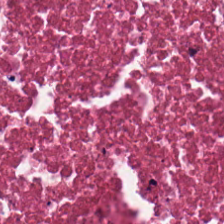H&E-stained tissue section. FFPE.
Impression → debris.
